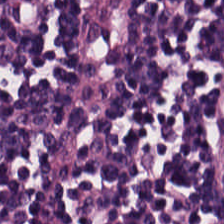H&E-stained tissue section.
The predominant tissue is lymphocytes.
